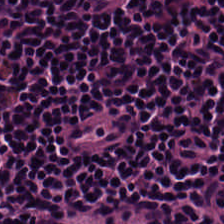224×224 pixel tile. Hematoxylin and eosin. Brightfield — Q: What is shown in this field?
A: The field shows lymphocyte aggregate.
